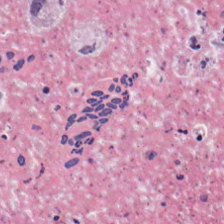Classification: necrotic debris.
